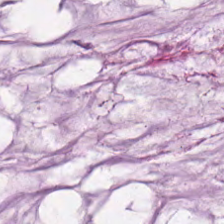Formalin-fixed paraffin-embedded section. H&E stain. Brightfield microscopy. Q: What is shown here?
A: This is extracellular mucin.
